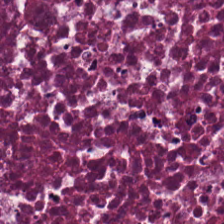Stain: hematoxylin and eosin.
Tissue class: debris.
